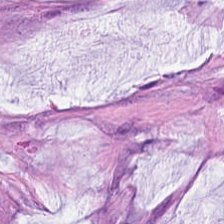0.5 µm/px · H&E. Q: What does this patch show?
A: This is mucus.
